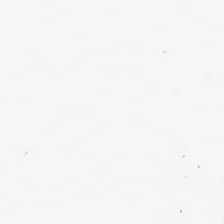Hematoxylin-and-eosin stained section. {"content": "background"}
